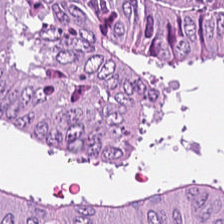Hematoxylin and eosin. 0.5 µm per pixel. Q: What tissue is shown?
A: It is colorectal adenocarcinoma.
